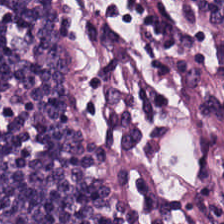Tissue type = lymphocytic infiltrate.
